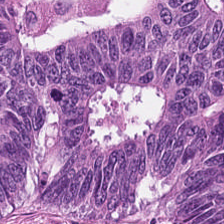Hematoxylin-and-eosin stained section. 224×224 pixel tile. FFPE — Tissue class — colorectal adenocarcinoma.
